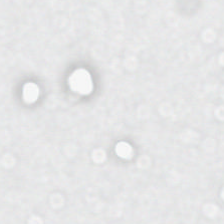Content = background (no tissue).
